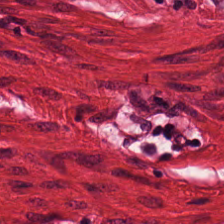Stain: H&E stain.
Tissue type: smooth-muscle tissue.
